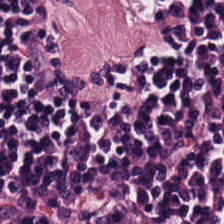Hematoxylin and eosin. Tissue — lymphocytes.
